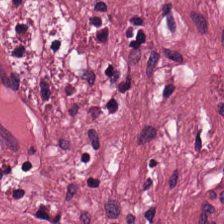H&E. Predominant tissue — desmoplastic stroma.
